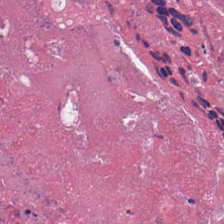0.5 µm per pixel; H&E stain. Predominant tissue — necrotic debris.
